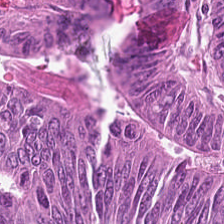H&E-stained tissue section. 224×224 px patch.
Impression — tumor epithelium.
